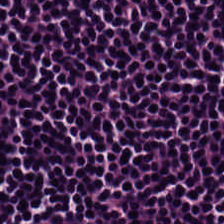H&E-stained tissue section.
This field is lymphoid infiltrate.
